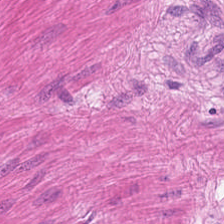WSI patch; H&E stain.
The tissue class is muscularis.
